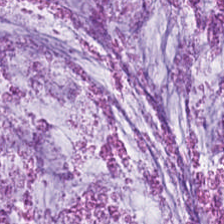Hematoxylin-and-eosin stained section.
Predominantly mucus.
